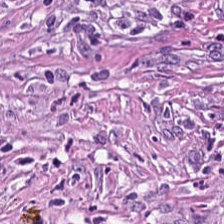H&E.
Histology — tumor-associated stroma.
